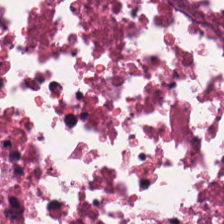H&E stain. Brightfield microscopy — {"tissue_type": "debris"}
